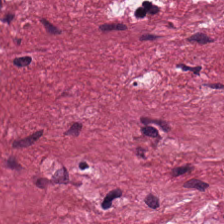Hematoxylin and eosin. Showing tumor-associated stroma.
